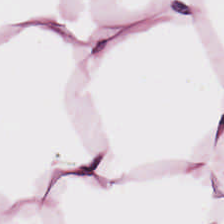Classification: adipocytes.
